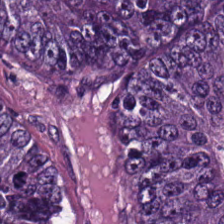Hematoxylin and eosin; formalin-fixed paraffin-embedded section — This field is adenocarcinoma.
